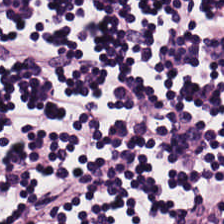Hematoxylin-and-eosin stained section · 224×224 pixel tile · FFPE — Q: Classify this patch.
A: This is lymphoid infiltrate.
